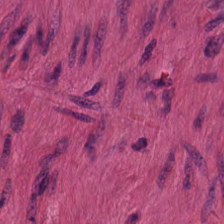Hematoxylin and eosin. Tissue type = muscularis.
